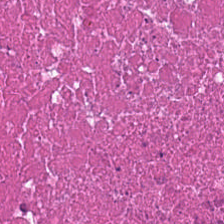Whole-slide-image patch; hematoxylin-and-eosin stained section; 20× equivalent magnification. Tissue type — debris.
